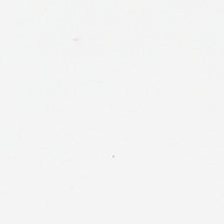H&E-stained tissue section — Background (no tissue).
